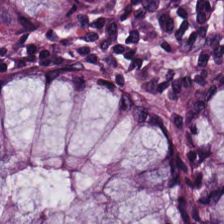Hematoxylin-and-eosin stained section — The predominant tissue is benign colonic mucosa.
